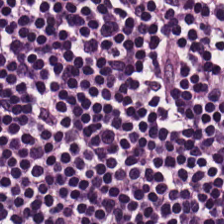H&E.
Histology → lymphocytes.
